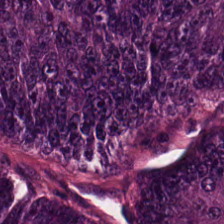H&E. Showing colorectal adenocarcinoma epithelium.
